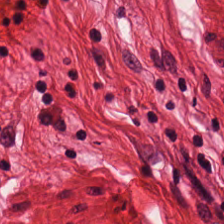H&E. This field is muscularis.
